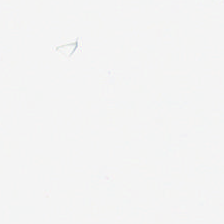Stain: hematoxylin-and-eosin stained section.
Content: no tissue.
